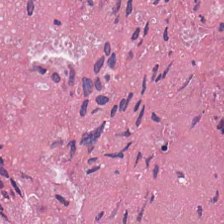H&E; 0.5 microns per pixel.
Impression — cellular debris.
